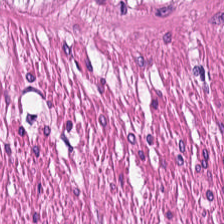H&E stain — {"tissue_type": "muscularis"}
